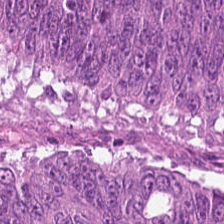H&E-stained tissue section. The tissue here is tumor epithelium.
